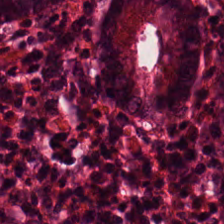H&E. Showing normal colon mucosa.
